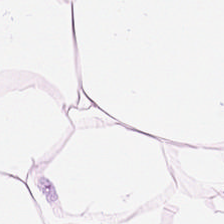H&E patch showing adipose tissue.
